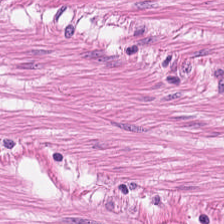H&E-stained tissue section — Predominantly smooth muscle.
